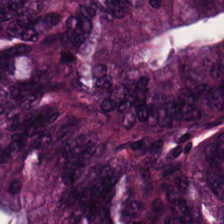224×224 px tile · hematoxylin-and-eosin stained section.
Tissue type — adenocarcinoma.
